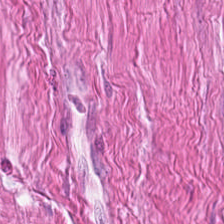FFPE tissue section · hematoxylin and eosin · 224×224 pixel tile.
This patch shows smooth-muscle tissue.
